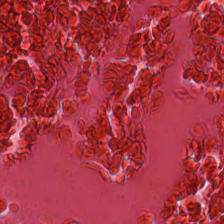H&E stain.
Tissue: debris.
